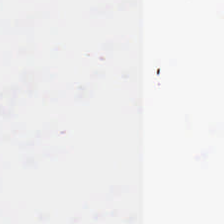{"content": "background"}
